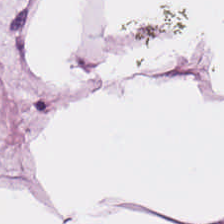H&E.
Showing adipocytes.
